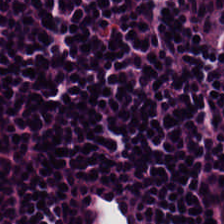The classification is lymphoid infiltrate.
